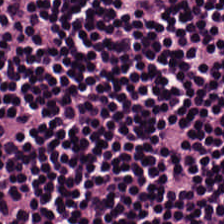H&E-stained tissue section — This field is lymphoid infiltrate.
